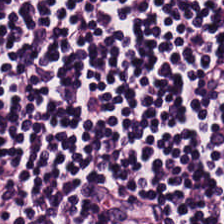Predominant tissue — lymphocyte aggregate.
